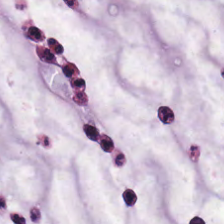224×224 pixel tile; hematoxylin and eosin. Mucin.
